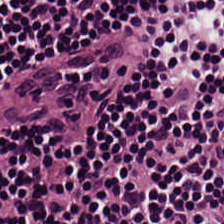H&E stain.
{"tissue_type": "lymphoid infiltrate"}
